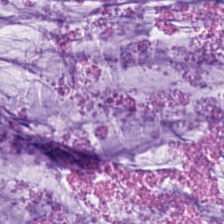Hematoxylin and eosin.
Mucus.
